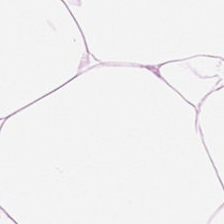224×224 px tile · 0.5 µm/px · hematoxylin-and-eosin stained section — Showing adipocytes.
